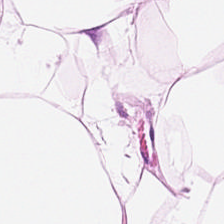Tissue type = adipocytes.
